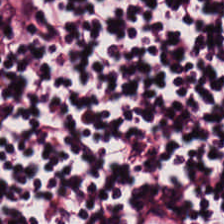Hematoxylin and eosin; 224×224 pixel tile — The predominant tissue is lymphocytes.
